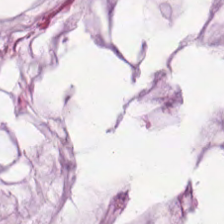H&E — Q: What is shown in this field?
A: Mucus.
